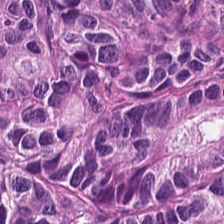Hematoxylin-and-eosin stained section.
This patch shows colorectal adenocarcinoma epithelium.
